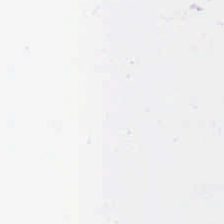0.5 µm/px · hematoxylin and eosin · FFPE tissue section. This patch shows no tissue.
